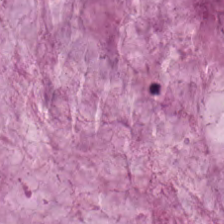Hematoxylin-and-eosin stained section; FFPE tissue section. Predominantly mucus.
